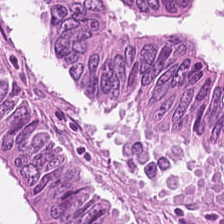Stain: H&E-stained tissue section.
Resolution: 20× equivalent magnification.
Tissue class: colorectal adenocarcinoma epithelium.
